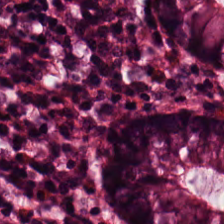224×224 px tile; H&E-stained tissue section. Tissue class: non-neoplastic colon mucosa.
